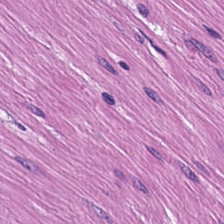FFPE tissue section. H&E-stained tissue section. Muscularis.
